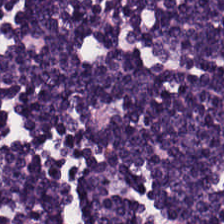Hematoxylin-and-eosin stained section — The predominant tissue is lymphoid infiltrate.
